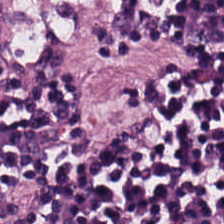H&E — {"tissue_type": "lymphocytes"}
